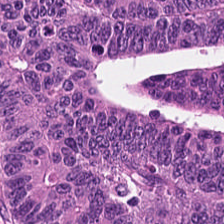224×224 px patch. H&E-stained tissue section. WSI patch. Predominant tissue = tumor epithelium.
